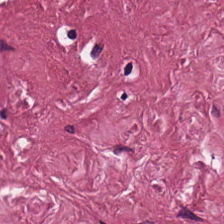Finding — desmoplastic stroma.
